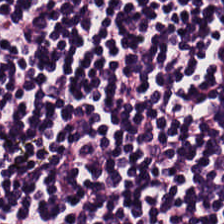Stain: H&E stain.
Predominant tissue: lymphocytic infiltrate.
